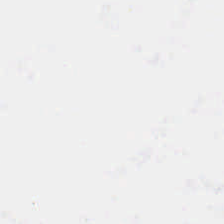H&E stain — Content: background.
